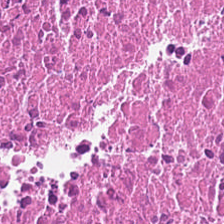H&E · formalin-fixed paraffin-embedded section.
Q: What is shown here?
A: It is debris.
